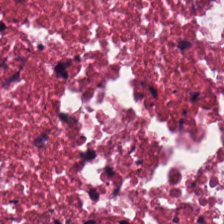H&E stain.
Tissue: cellular debris.
